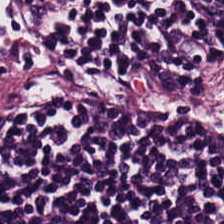Hematoxylin and eosin — The tissue here is lymphocytes.
